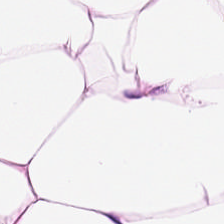Hematoxylin and eosin · FFPE tissue section.
Tissue class: adipose.
